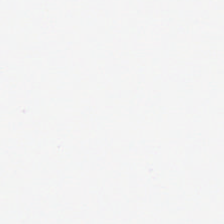H&E-stained tissue section · FFPE tissue section — Impression → background (no tissue).
